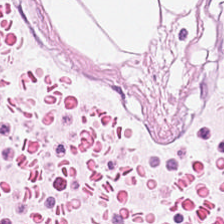Q: What does this patch show?
A: Adipose tissue.
